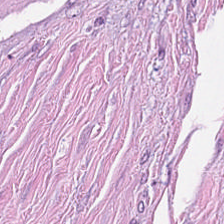Hematoxylin and eosin. This field is desmoplastic stroma.
